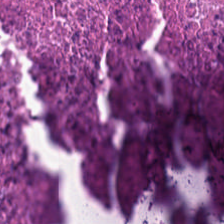Stain: hematoxylin and eosin.
Acquisition: whole-slide-image patch.
Classification: necrotic debris.
